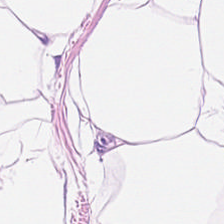H&E stain; 0.5 µm per pixel.
{"tissue_type": "adipose tissue"}
